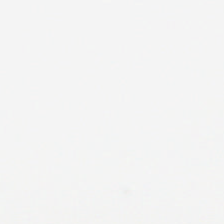H&E stain.
{"content": "background (no tissue)"}
